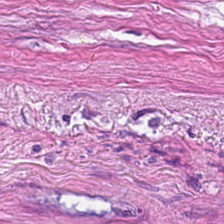H&E stain. Tissue class = desmoplastic stroma.
